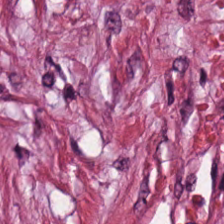H&E · brightfield.
Q: What tissue type is shown here?
A: It is cancer-associated stroma.
